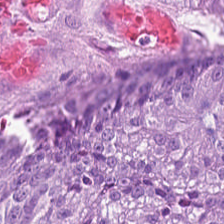Stain: hematoxylin and eosin.
Tissue class: tumor epithelium.
